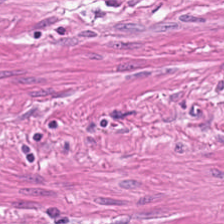H&E.
Histology → muscularis.
